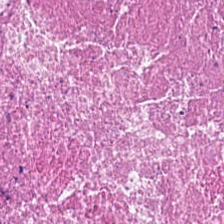Histology → cellular debris.
